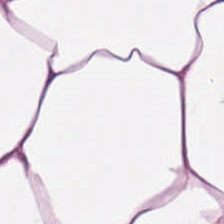Stain: hematoxylin-and-eosin stained section.
Acquisition: brightfield microscopy.
Tile size: 224×224 px tile.
Tissue class: adipose.
